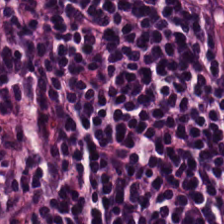224×224 pixel tile; FFPE tissue section; hematoxylin and eosin — The predominant tissue is lymphocytes.
